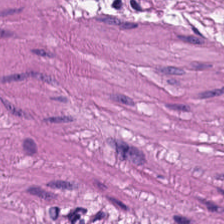H&E-stained tissue section. Brightfield. The predominant tissue is smooth muscle.
